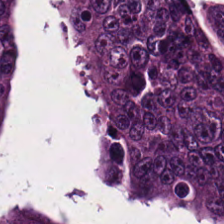Q: Classify this patch.
A: This is adenocarcinoma.
